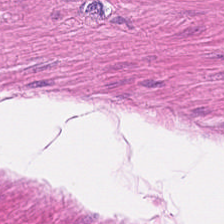H&E-stained tissue section. Smooth muscle.
